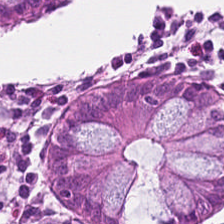Hematoxylin-and-eosin stained section. 0.5 µm per pixel — Histology — non-neoplastic colon mucosa.
